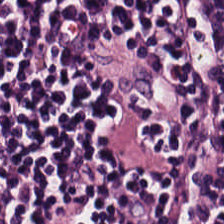Hematoxylin and eosin. 224×224 px patch.
The tissue here is lymphocytic infiltrate.
